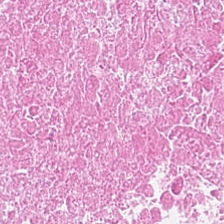Stain: H&E stain.
Resolution: 0.5 µm/px.
Predominant tissue: necrotic debris.
